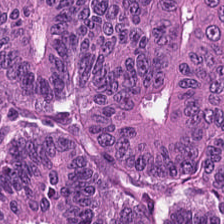WSI patch · hematoxylin-and-eosin stained section. The predominant tissue is colorectal adenocarcinoma epithelium.
